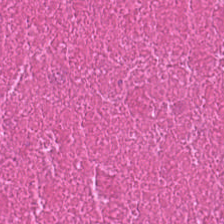Finding — cellular debris.
